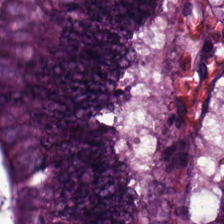0.5 µm per pixel. Hematoxylin-and-eosin stained section. 224×224 pixel tile — Showing malignant epithelium.
